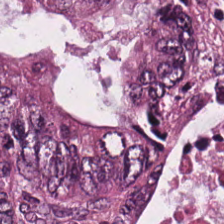The tissue here is colorectal adenocarcinoma.
